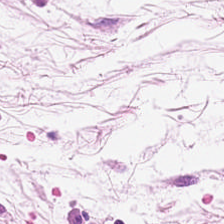H&E stain — Finding → fat tissue.
